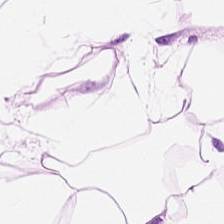Stain: hematoxylin and eosin.
Tile size: 224×224 px patch.
Tissue type: adipose tissue.
